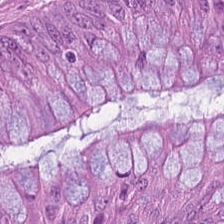Hematoxylin-and-eosin stained section — Adenocarcinoma.
